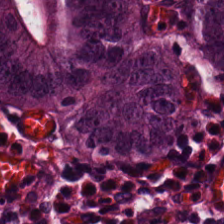Hematoxylin-and-eosin stained section. Classification = colorectal adenocarcinoma.
